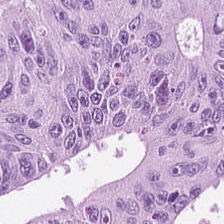Hematoxylin and eosin. Tissue type — adenocarcinoma.
